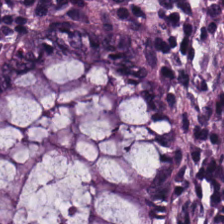H&E stain — Classification: normal colonic mucosa.
